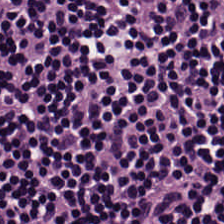Hematoxylin and eosin. Predominantly lymphocytic infiltrate.
